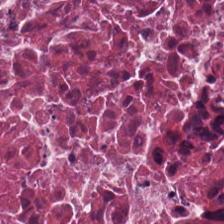H&E.
The predominant tissue is cellular debris.
